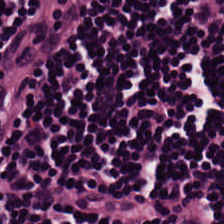The tissue here is lymphocytes.
